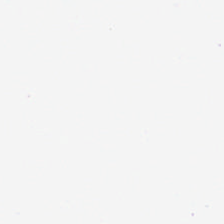Stain: hematoxylin and eosin.
Content: background.
